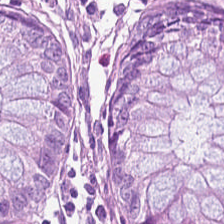224×224 px patch · hematoxylin-and-eosin stained section · FFPE tissue section — {"tissue_type": "normal colonic mucosa"}
